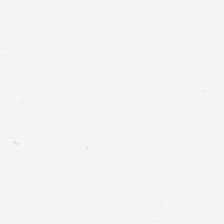Q: What is shown here?
A: It is background (no tissue).
